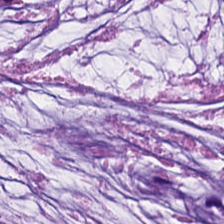Q: Classify this patch.
A: It is mucus.
